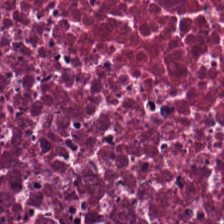Stain: hematoxylin and eosin.
Acquisition: WSI patch.
Tissue type: debris.
